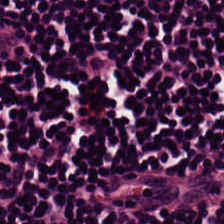Hematoxylin and eosin.
Q: What type of tissue is this?
A: This is lymphoid infiltrate.
